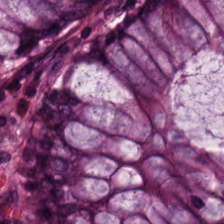The predominant tissue is normal colonic mucosa.
